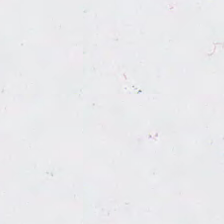This patch shows background (no tissue).
